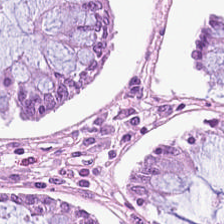H&E-stained tissue section; FFPE tissue section.
This field is benign colonic mucosa.
